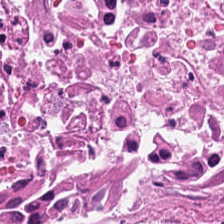H&E stain.
Q: What is the predominant tissue type?
A: This is debris.
